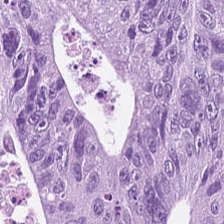H&E.
Tissue = colorectal adenocarcinoma epithelium.
